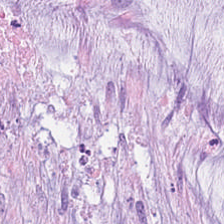The predominant tissue is mucus.
